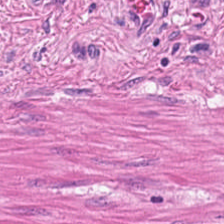H&E; brightfield microscopy.
Impression → muscularis.
